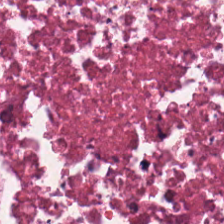FFPE. Whole-slide-image patch. H&E-stained tissue section — Histology → debris.
